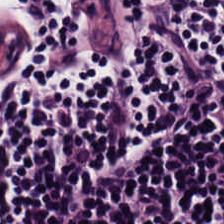H&E-stained tissue section. The tissue is lymphocytes.
